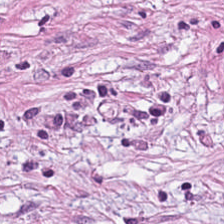0.5 µm/px; formalin-fixed paraffin-embedded section; hematoxylin-and-eosin stained section.
Cancer-associated stroma.
